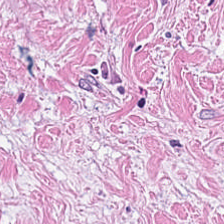H&E-stained tissue section.
The tissue is cancer-associated stroma.
